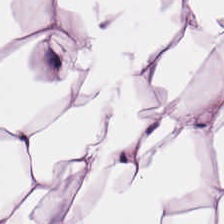Hematoxylin and eosin.
Predominantly adipocytes.
